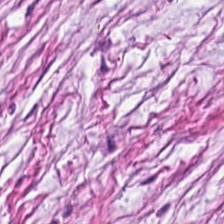H&E.
Q: What is the predominant tissue type?
A: Cancer-associated stroma.
